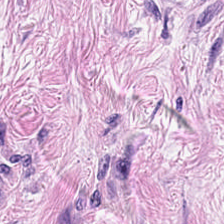H&E-stained tissue section.
The predominant tissue is desmoplastic stroma.
